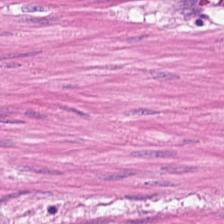H&E-stained tissue section. Smooth-muscle tissue.
